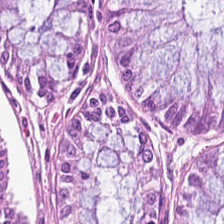The predominant tissue is normal colonic mucosa.
